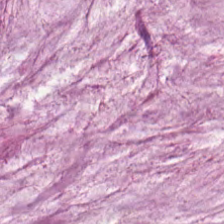H&E stain.
Tissue class = extracellular mucin.
